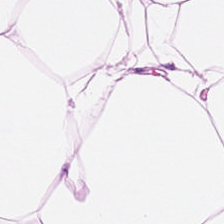H&E — The predominant tissue is adipose.
